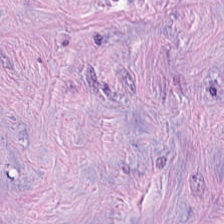Hematoxylin and eosin — {"tissue_type": "tumor-associated stroma"}
